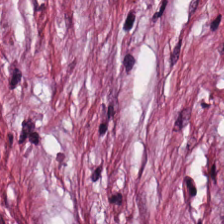H&E; 20× equivalent magnification; FFPE — The classification is tumor-associated stroma.
